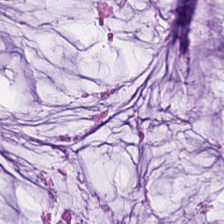The tissue here is mucus.
